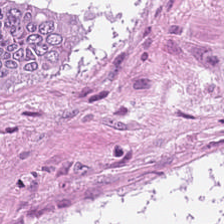H&E-stained tissue section.
The predominant tissue is colorectal adenocarcinoma.
